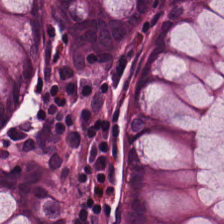H&E stain. Q: What is shown in this field?
A: Benign colonic mucosa.
